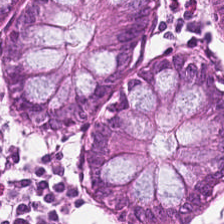Hematoxylin and eosin. The tissue is non-neoplastic colon mucosa.
